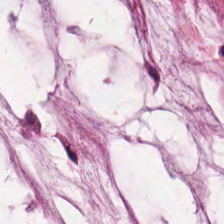Showing mucus.
